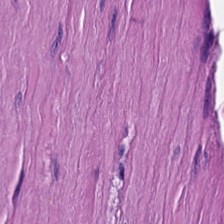224×224 px tile; H&E stain. The tissue here is smooth muscle.
